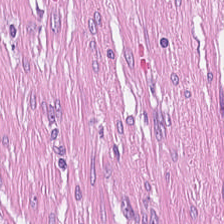FFPE tissue section. 224×224 pixel tile. Hematoxylin-and-eosin stained section.
This patch shows cancer-associated stroma.
